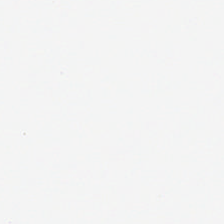Stain: hematoxylin and eosin.
Resolution: 20× equivalent magnification.
Tile size: 224×224 pixel tile.
Classification: no tissue.
